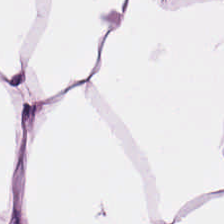Stain: H&E-stained tissue section.
Tissue class: adipose tissue.
